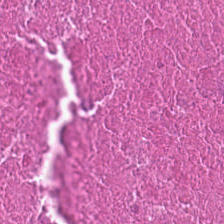Hematoxylin and eosin. 0.5 µm/px — Q: What is shown in this field?
A: The field shows debris.
